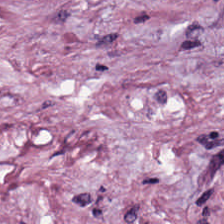H&E; WSI patch. Q: What does this patch show?
A: Tumor stroma.
